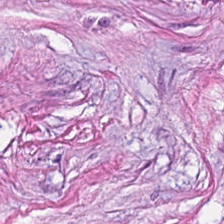Hematoxylin and eosin. 0.5 microns per pixel — Q: Identify the tissue.
A: Cancer-associated stroma.
